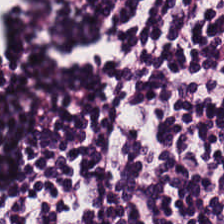Hematoxylin and eosin. Whole-slide-image patch. 224×224 px patch.
Tissue: lymphocytes.
